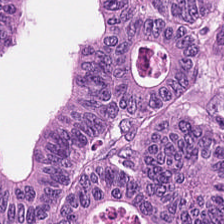{"tissue_type": "adenocarcinoma"}
